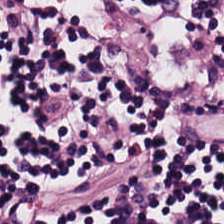WSI patch. Formalin-fixed paraffin-embedded section. Hematoxylin-and-eosin stained section — Q: What is the predominant tissue type?
A: The field shows lymphocyte aggregate.
